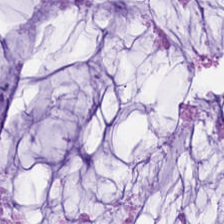H&E. This field is extracellular mucin.
